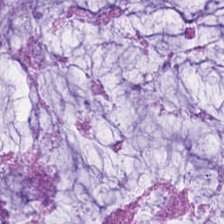Predominant tissue: mucus.
